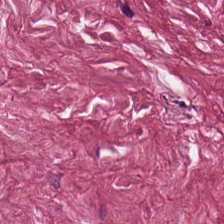Hematoxylin-and-eosin stained section. This field is tumor stroma.
